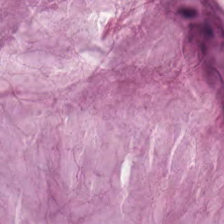H&E-stained tissue section; 224×224 pixel tile; FFPE tissue section. Impression — extracellular mucin.
